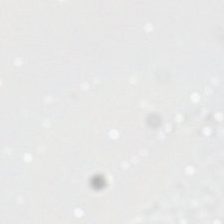H&E stain; formalin-fixed paraffin-embedded section.
Content: background (no tissue).
